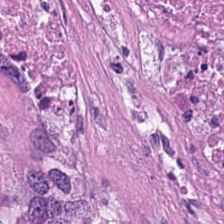Hematoxylin-and-eosin stained section — This patch shows necrotic debris.
